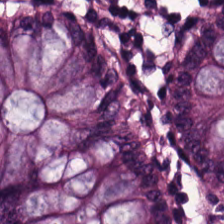Q: What is shown here?
A: Non-neoplastic colon mucosa.
